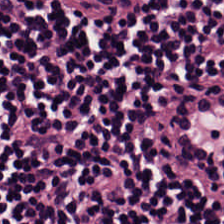Hematoxylin and eosin. Showing lymphocyte aggregate.
